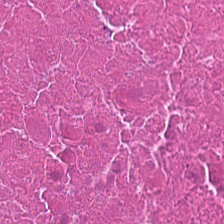H&E — Impression — debris.
